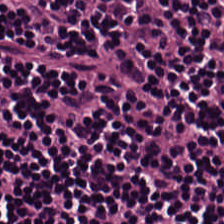Hematoxylin-and-eosin stained section. This field is lymphocytes.
